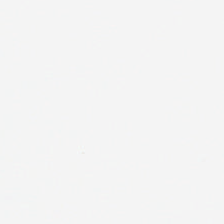Q: Classify this patch.
A: The field shows background.
